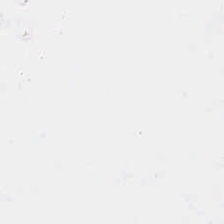{"content": "background"}
